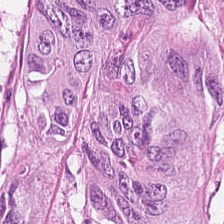Stain: hematoxylin and eosin.
Predominant tissue: colorectal adenocarcinoma epithelium.
